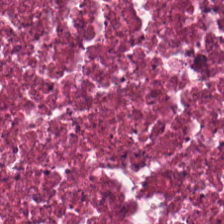Hematoxylin-and-eosin stained section.
Impression → debris.
